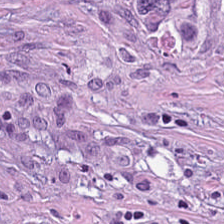224×224 px tile; FFPE; hematoxylin and eosin.
Q: What tissue type is shown here?
A: This is desmoplastic stroma.
